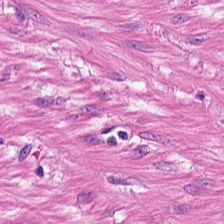H&E stain. Predominantly smooth-muscle tissue.
